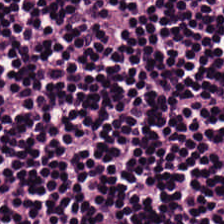20× equivalent magnification · hematoxylin-and-eosin stained section.
Showing lymphoid infiltrate.
